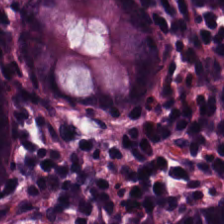H&E stain. 0.5 microns per pixel. WSI patch.
The tissue is benign colonic mucosa.
